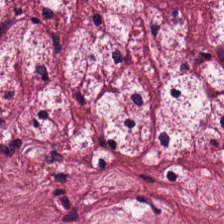H&E-stained tissue section; 224×224 px tile; 20× equivalent magnification. Tissue type = tumor-associated stroma.
